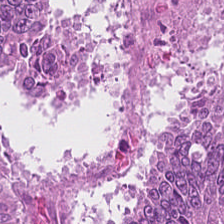H&E; 224×224 px tile — Q: What tissue is shown?
A: The field shows tumor epithelium.
